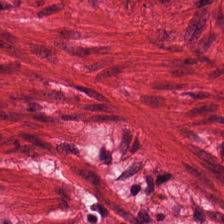Classification: muscularis.
